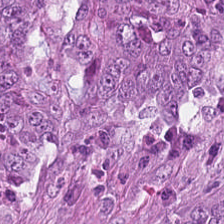0.5 µm/px · H&E stain. The predominant tissue is adenocarcinoma.
